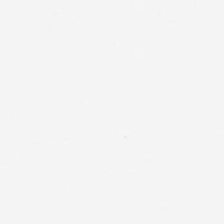Whole-slide-image patch · H&E — Q: What is shown in this field?
A: The field shows background.
